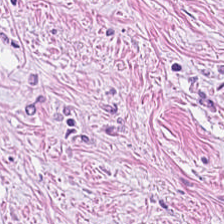Hematoxylin-and-eosin stained section. {"tissue_type": "tumor stroma"}
